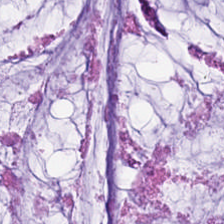0.5 µm/px; H&E stain. This patch shows mucin.
